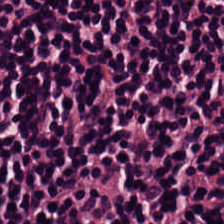Formalin-fixed paraffin-embedded section. Hematoxylin-and-eosin stained section.
The tissue type is lymphocytes.
